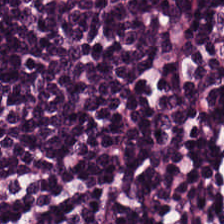FFPE · H&E. Q: What is shown here?
A: Lymphoid infiltrate.
